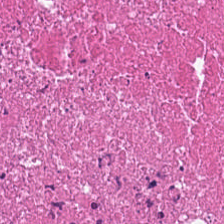20× equivalent magnification. H&E-stained tissue section. FFPE. {"tissue_type": "necrotic debris"}
